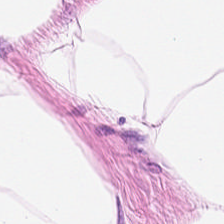Hematoxylin and eosin. Tissue type: adipose.
